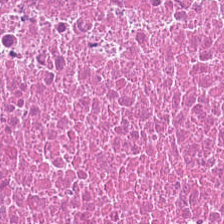Hematoxylin and eosin. Classification = necrotic debris.
